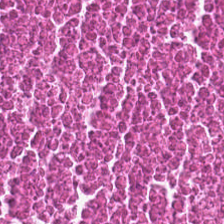Stain: H&E.
Resolution: 20× equivalent magnification.
Tissue: cellular debris.
